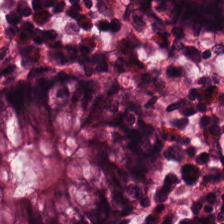FFPE. H&E stain. 224×224 pixel tile.
Finding — non-neoplastic colon mucosa.
